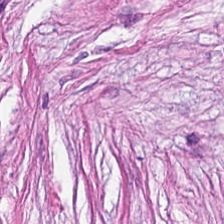FFPE tissue section; H&E-stained tissue section; 224×224 px tile — The predominant tissue is desmoplastic stroma.
